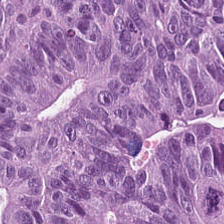Hematoxylin-and-eosin stained section — Q: Identify the tissue.
A: Adenocarcinoma.
